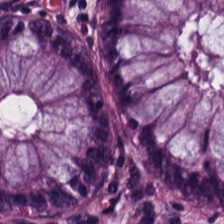Brightfield microscopy · hematoxylin and eosin. This patch shows normal colon mucosa.
